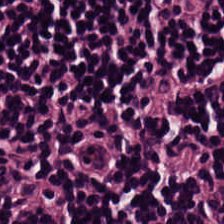0.5 µm per pixel · hematoxylin and eosin.
Classification: lymphocyte aggregate.
